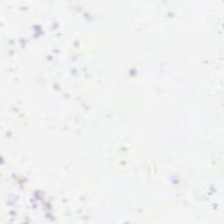Hematoxylin and eosin; 0.5 µm per pixel. Content = background.
